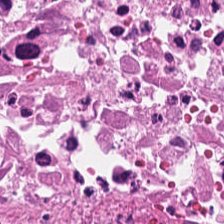H&E-stained tissue section; 0.5 microns per pixel — The tissue type is debris.
